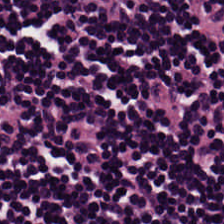Finding — lymphocytes.
